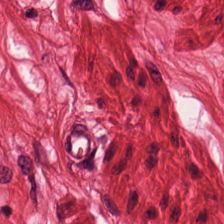Hematoxylin-and-eosin stained section.
This patch shows smooth-muscle tissue.
